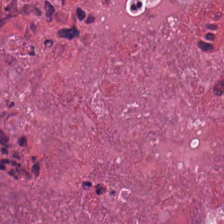0.5 µm/px. H&E stain.
The tissue here is cellular debris.
